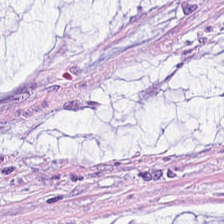FFPE. H&E-stained tissue section — Q: What type of tissue is this?
A: The field shows extracellular mucin.
